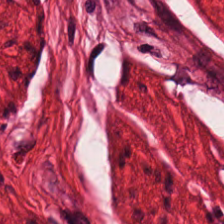H&E-stained tissue section; FFPE tissue section.
Impression → smooth muscle.
